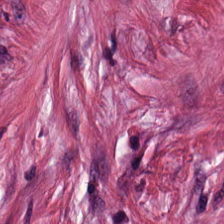224×224 px patch; hematoxylin and eosin.
Cancer-associated stroma.
